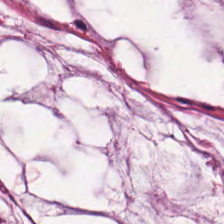H&E stain.
Q: What tissue type is shown here?
A: Mucin.
